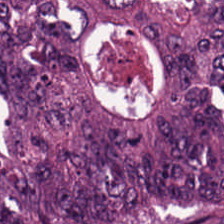Hematoxylin-and-eosin stained section — Classification: malignant epithelium.
